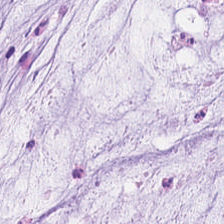Tissue — mucus.
